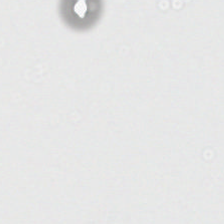H&E-stained tissue section — Content = empty background.
